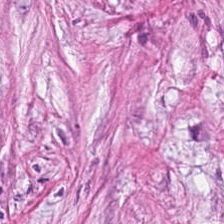Q: What is shown here?
A: It is cancer-associated stroma.
